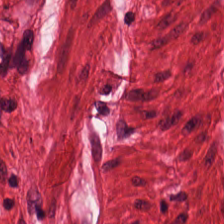FFPE; H&E — This patch shows muscularis.
